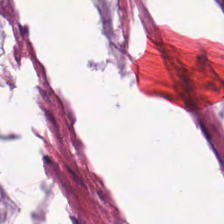H&E. {"tissue_type": "mucus"}
